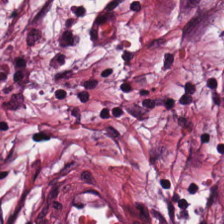H&E — Q: What tissue type is shown here?
A: Cancer-associated stroma.
